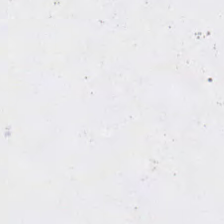Q: Classify this patch.
A: It is no tissue.
